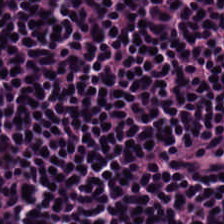Hematoxylin-and-eosin stained section. FFPE tissue section.
This patch shows lymphocytic infiltrate.
